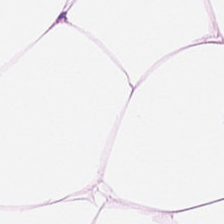H&E — adipose tissue.
